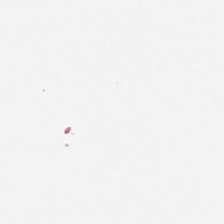H&E-stained tissue section — Field content — empty background.
